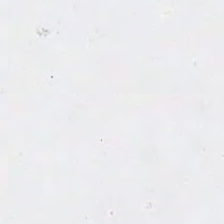H&E stain. 20× equivalent magnification. Empty background.
